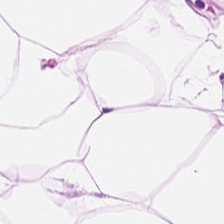H&E-stained tissue section. 20× equivalent magnification. Tissue type — adipose tissue.
